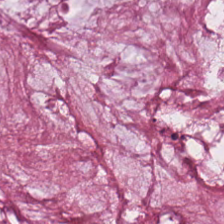0.5 microns per pixel. 224×224 px tile. H&E stain.
This patch shows extracellular mucin.
